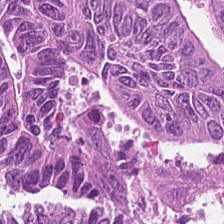Brightfield; H&E; 20× equivalent magnification. Histology — colorectal adenocarcinoma epithelium.
